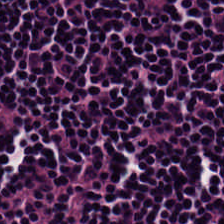Stain: H&E.
Predominant tissue: lymphocytes.
